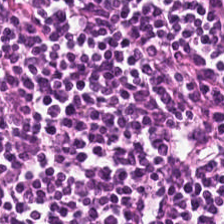H&E.
Classification — lymphocytic infiltrate.
